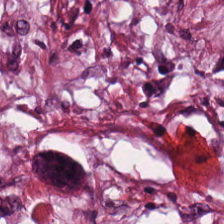H&E. Histology → tumor-associated stroma.
